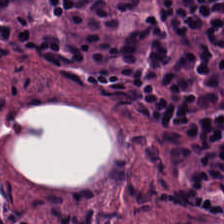H&E stain.
Showing lymphoid infiltrate.
